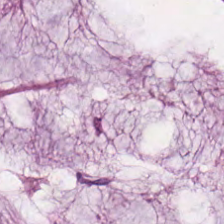Q: What tissue type is shown here?
A: The field shows mucin.
